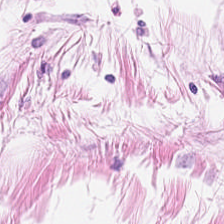Stain: H&E-stained tissue section.
Tissue: adipose tissue.
